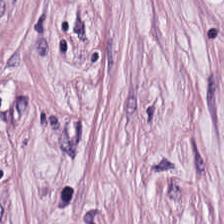Stain: hematoxylin-and-eosin stained section.
Tile size: 224×224 px tile.
Predominant tissue: tumor-associated stroma.
